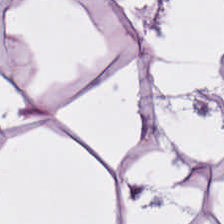Formalin-fixed paraffin-embedded section. Hematoxylin and eosin. Tissue class = adipose tissue.
